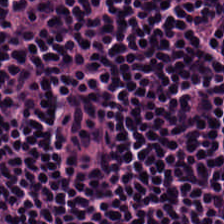Stain: H&E stain.
Tissue: lymphocytes.
